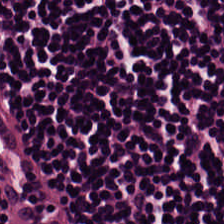H&E-stained tissue section.
Classification — lymphocytic infiltrate.
